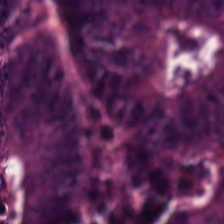Stain: hematoxylin and eosin.
Tissue: tumor epithelium.
